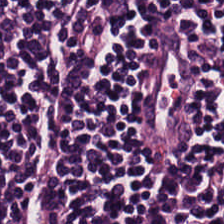FFPE; H&E stain — Q: Identify the tissue.
A: This is lymphocytes.
